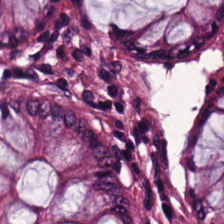{"tissue_type": "benign colonic mucosa"}
